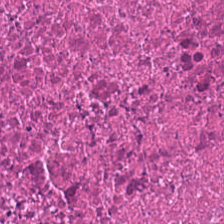H&E. Classification = debris.
